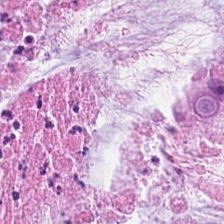FFPE tissue section. Hematoxylin-and-eosin stained section. Whole-slide-image patch.
The predominant tissue is mucus.
